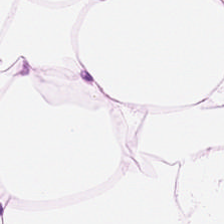H&E stain; 0.5 microns per pixel — This field is adipocytes.
